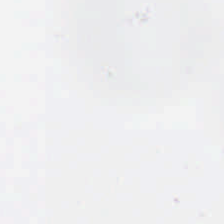Classification = no tissue.
